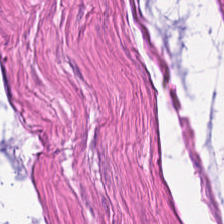0.5 µm/px · H&E-stained tissue section · formalin-fixed paraffin-embedded section. The predominant tissue is smooth muscle.
